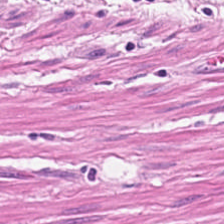H&E · FFPE. Smooth muscle.
